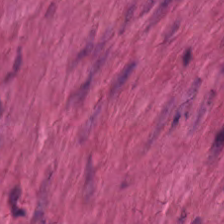224×224 pixel tile; H&E stain — The tissue type is smooth-muscle tissue.
